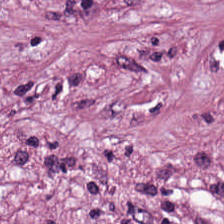H&E.
This field is tumor stroma.
